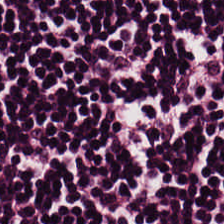H&E-stained tissue section · 0.5 µm per pixel — Histology → lymphocyte aggregate.
